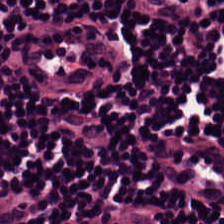Tissue type — lymphocytic infiltrate.
